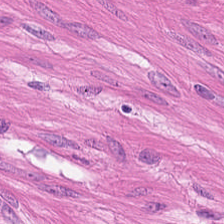Stain: H&E.
Tissue: smooth-muscle tissue.
